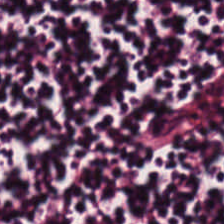Hematoxylin and eosin.
Showing lymphocytic infiltrate.
